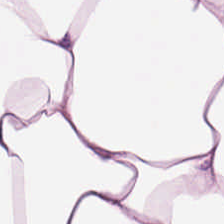Hematoxylin and eosin — The predominant tissue is adipocytes.
